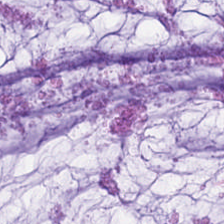Stain: hematoxylin and eosin.
Resolution: 0.5 µm per pixel.
Classification: extracellular mucin.
